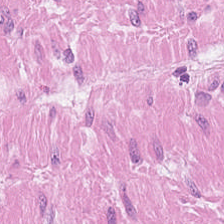Stain: H&E.
Tissue class: smooth muscle.
